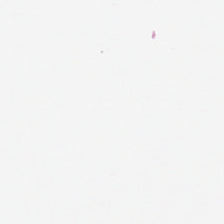Hematoxylin and eosin — This field is background (no tissue).
